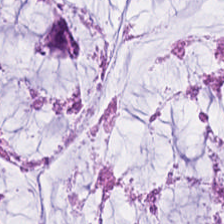H&E-stained tissue section; formalin-fixed paraffin-embedded section — This field is extracellular mucin.
